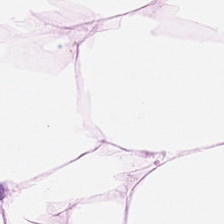Hematoxylin-and-eosin stained section. The predominant tissue is adipocytes.
